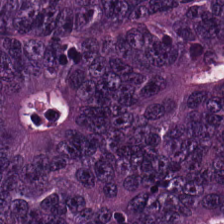Hematoxylin-and-eosin stained section.
This patch shows adenocarcinoma.
